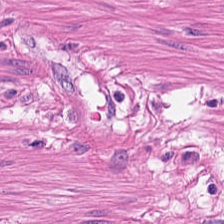H&E; 224×224 pixel tile — This patch shows smooth-muscle tissue.
